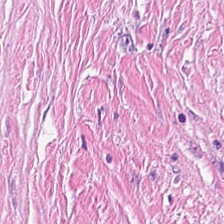Q: What tissue type is shown here?
A: Desmoplastic stroma.
